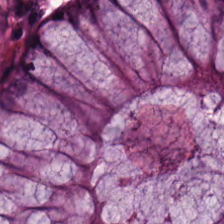Hematoxylin and eosin. 224×224 px patch. 0.5 microns per pixel. {"tissue_type": "benign colonic mucosa"}
